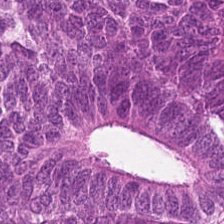0.5 µm/px. Hematoxylin-and-eosin stained section. 224×224 pixel tile — {"tissue_type": "tumor epithelium"}
